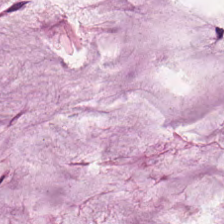Hematoxylin-and-eosin stained section. Showing mucin.
